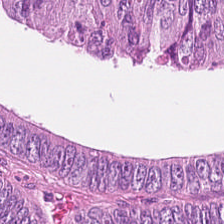H&E — Colorectal adenocarcinoma.
